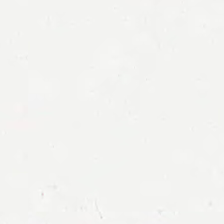Finding → empty background.
